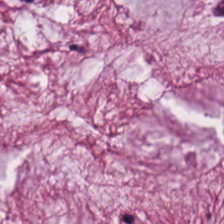H&E stain. 0.5 µm per pixel. Showing extracellular mucin.
